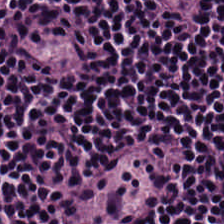Whole-slide-image patch. Formalin-fixed paraffin-embedded section. H&E stain.
Q: Identify the tissue.
A: Lymphocytic infiltrate.
